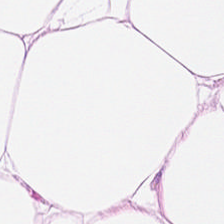H&E. The tissue is adipose tissue.
